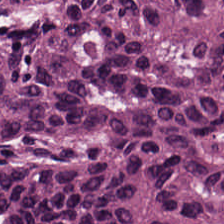The tissue here is malignant epithelium.
